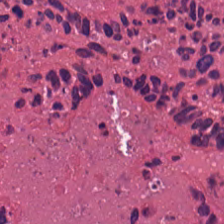H&E patch showing debris.
